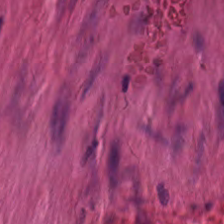H&E stain — The tissue class is muscularis.
